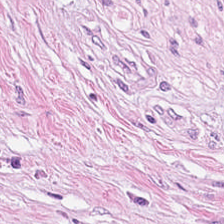Stain: H&E.
Preparation: FFPE tissue section.
Tile size: 224×224 px tile.
Tissue class: desmoplastic stroma.
